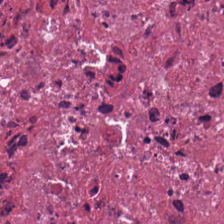Showing necrotic debris.
